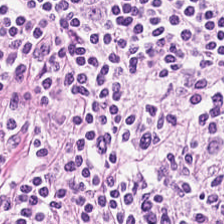H&E-stained section; the field shows lymphocytes.
